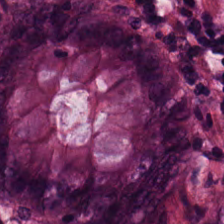Impression → normal colon mucosa.
